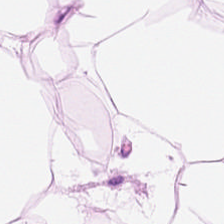H&E · FFPE. {"tissue_type": "adipose"}
